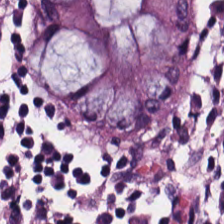Stain: H&E.
Acquisition: brightfield.
Tile size: 224×224 px tile.
Tissue type: normal colonic mucosa.
